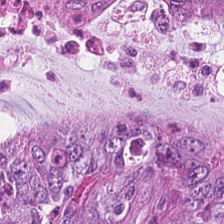Stain: H&E.
Predominant tissue: tumor epithelium.
